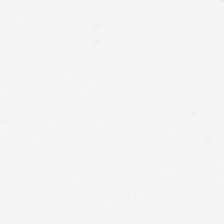H&E stain — This patch shows background (no tissue).
